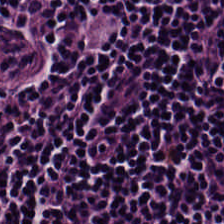H&E stain; 224×224 px tile.
Tissue class — lymphocyte aggregate.
